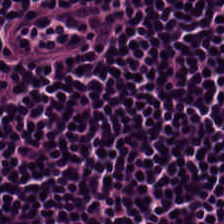{"tissue_type": "lymphocyte aggregate"}
